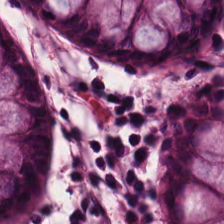Stain: H&E-stained tissue section.
Tissue: normal colon mucosa.
